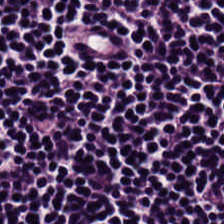Classification: lymphocytes.
